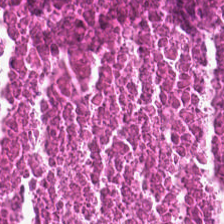Whole-slide-image patch · hematoxylin and eosin.
Q: What is shown here?
A: Cellular debris.
